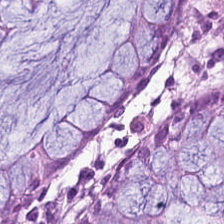WSI patch; 224×224 px patch; H&E.
This patch shows normal colonic mucosa.
